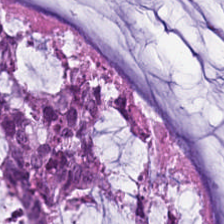H&E-stained tissue section. Extracellular mucin.
